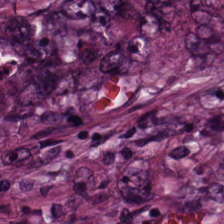Formalin-fixed paraffin-embedded section. H&E. Predominantly colorectal adenocarcinoma.
